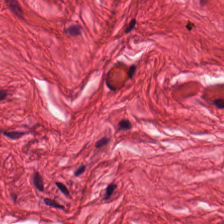H&E stain. 0.5 µm per pixel. Brightfield — Tissue class = smooth muscle.
